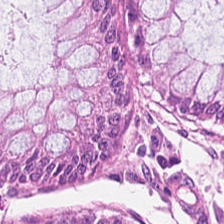0.5 microns per pixel · H&E-stained tissue section — Tissue type: normal colonic mucosa.
